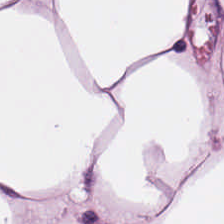Finding → adipocytes.
